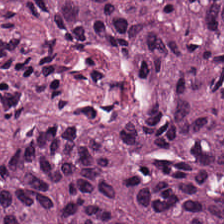H&E stain; 224×224 px tile — The tissue is colorectal adenocarcinoma epithelium.
